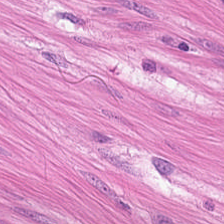This field is smooth muscle.
